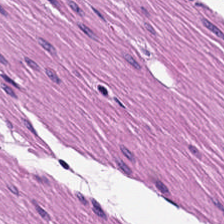Hematoxylin and eosin — {"tissue_type": "smooth muscle"}
